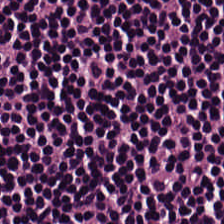Q: Classify this patch.
A: This is lymphocytes.
